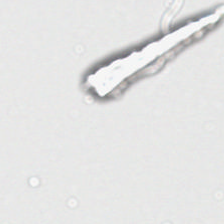WSI patch · H&E-stained tissue section. Empty field — background (no tissue).
